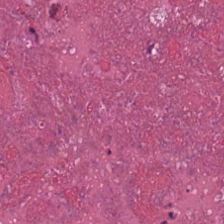H&E stain.
Q: Classify this patch.
A: The field shows debris.
